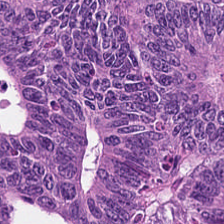H&E stain · brightfield microscopy · 0.5 µm per pixel — The tissue here is colorectal adenocarcinoma.
